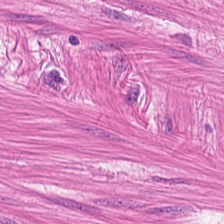Stain: H&E-stained tissue section.
Resolution: 0.5 microns per pixel.
Classification: muscularis.
